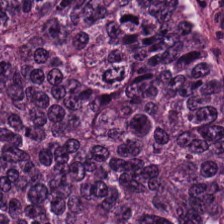This patch shows colorectal adenocarcinoma epithelium.
